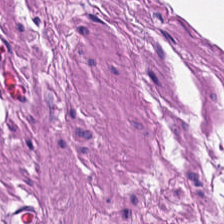FFPE tissue section; hematoxylin-and-eosin stained section; brightfield microscopy.
Showing smooth-muscle tissue.
